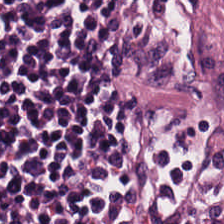H&E-stained tissue section. Showing lymphocytic infiltrate.
